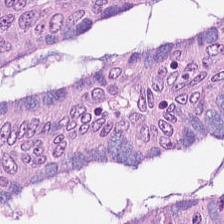Impression — colorectal adenocarcinoma epithelium.
